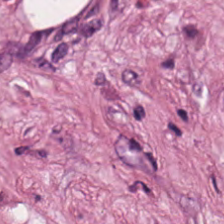H&E stain; whole-slide-image patch — The predominant tissue is tumor-associated stroma.
